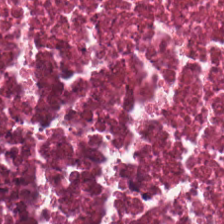Finding → cellular debris.
